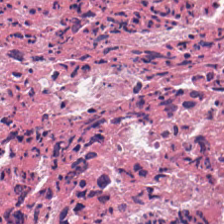Stain: hematoxylin and eosin.
Tissue: cellular debris.
